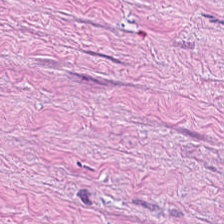Formalin-fixed paraffin-embedded section; 224×224 px tile; H&E. Tissue type — tumor-associated stroma.
